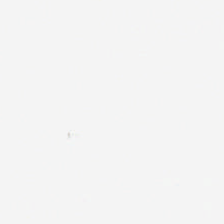0.5 microns per pixel. Hematoxylin and eosin. Q: What is shown here?
A: It is no tissue.
